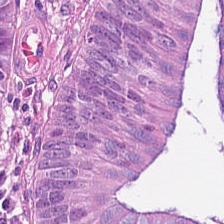Hematoxylin-and-eosin stained section.
This field is colorectal adenocarcinoma.
